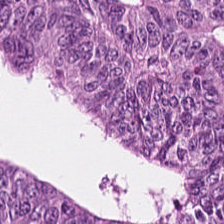H&E stain; 0.5 microns per pixel.
Classification = colorectal adenocarcinoma.
